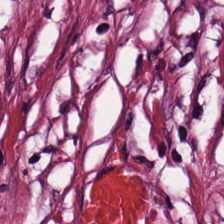Formalin-fixed paraffin-embedded section · H&E · WSI patch — The predominant tissue is tumor stroma.
